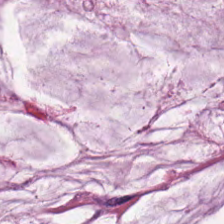H&E stain — {"tissue_type": "extracellular mucin"}
